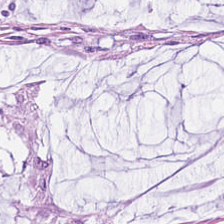H&E-stained tissue section.
Q: What tissue is shown?
A: The field shows mucus.
